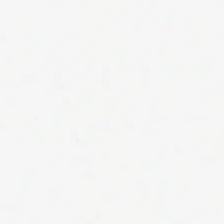H&E; 0.5 microns per pixel — Empty background.
